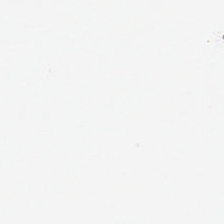Histology → empty background.
